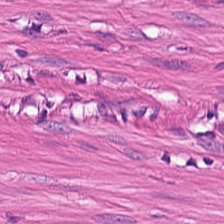Hematoxylin and eosin. Formalin-fixed paraffin-embedded section. Impression — smooth muscle.
